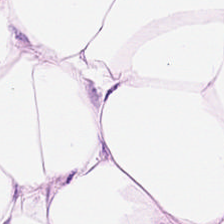FFPE · hematoxylin and eosin — Predominantly fat tissue.
